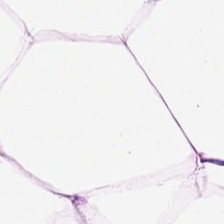This field is adipocytes.
